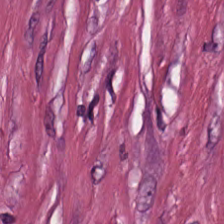224×224 px tile · whole-slide-image patch · hematoxylin-and-eosin stained section. Impression — tumor stroma.
